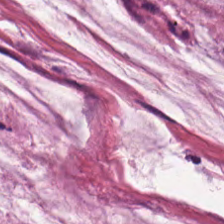H&E.
Tissue class = mucus.
